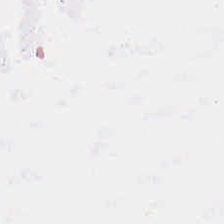Hematoxylin and eosin; FFPE tissue section — {"content": "empty background"}
